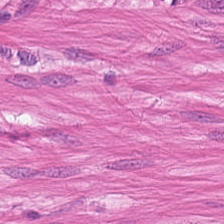Stain: H&E stain.
Predominant tissue: smooth-muscle tissue.
